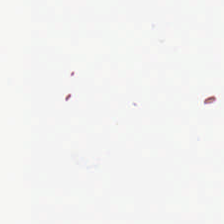Background — no tissue in this field.
